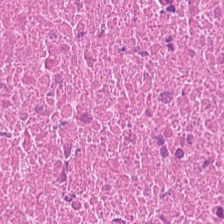FFPE tissue section. Hematoxylin-and-eosin stained section — The tissue here is cellular debris.
